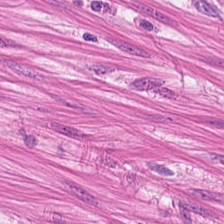The classification is smooth muscle.
